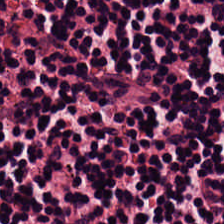H&E. 0.5 microns per pixel — Lymphocyte aggregate.
